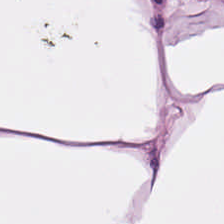224×224 pixel tile; H&E; FFPE.
Predominantly adipose.
